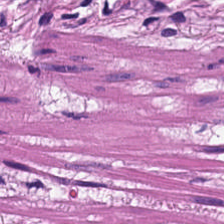Hematoxylin and eosin. 20× equivalent magnification — Tissue class — smooth-muscle tissue.
